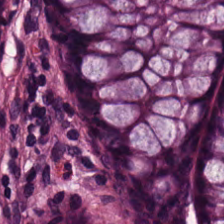Hematoxylin-and-eosin section: normal colonic mucosa.
